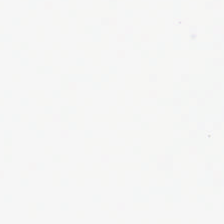224×224 px tile. H&E-stained tissue section.
Histology — empty background.
